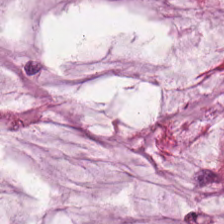Stain: H&E stain.
Tile size: 224×224 px tile.
Resolution: 0.5 microns per pixel.
Predominant tissue: mucus.
